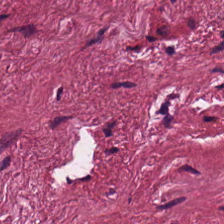H&E stain.
Cancer-associated stroma.
